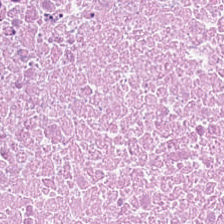224×224 px tile; H&E-stained tissue section.
Histology — debris.
